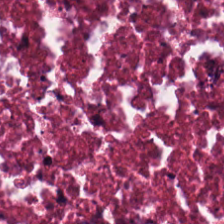224×224 px tile. 0.5 µm per pixel. H&E — The predominant tissue is cellular debris.
